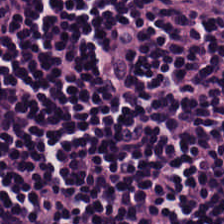Stain: hematoxylin-and-eosin stained section.
Resolution: 20× equivalent magnification.
Acquisition: brightfield.
Tissue: lymphocytic infiltrate.
